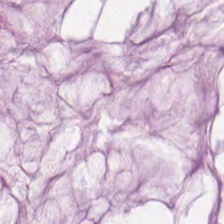Hematoxylin and eosin. This patch shows mucus.
